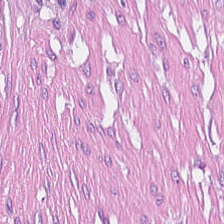Hematoxylin and eosin.
Q: What is the predominant tissue type?
A: This is tumor stroma.
